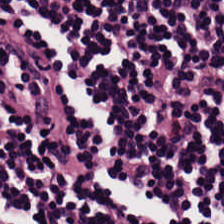Hematoxylin and eosin.
Q: What is shown in this field?
A: This is lymphocytic infiltrate.
